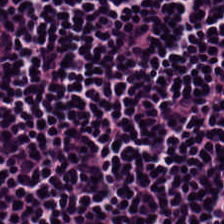Hematoxylin-and-eosin stained section — Predominantly lymphoid infiltrate.
